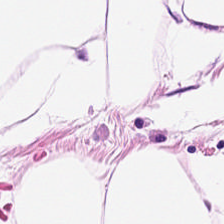H&E stain. Adipose tissue.
